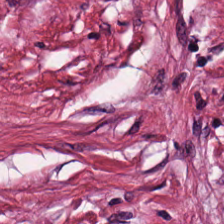224×224 pixel tile; FFPE tissue section; H&E stain — Histology — desmoplastic stroma.
